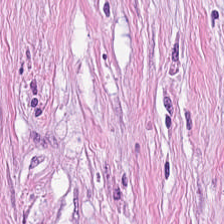Brightfield. Hematoxylin-and-eosin stained section.
This field is desmoplastic stroma.
